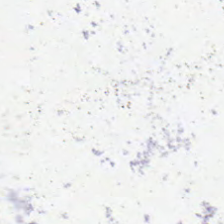Stain: hematoxylin and eosin.
Field content: background (no tissue).
